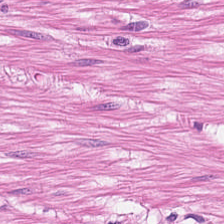Hematoxylin and eosin. The tissue here is muscularis.
